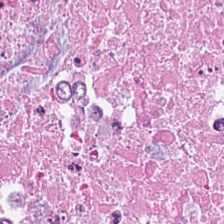Stain: hematoxylin and eosin.
Preparation: formalin-fixed paraffin-embedded section.
Tissue type: cellular debris.
